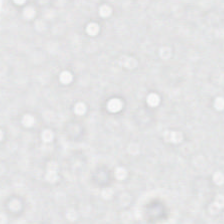Hematoxylin and eosin. 0.5 µm/px. Classification = background.
